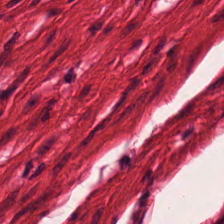Stain: H&E stain.
Classification: smooth-muscle tissue.
